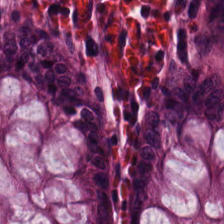Hematoxylin and eosin — This patch shows benign colonic mucosa.
